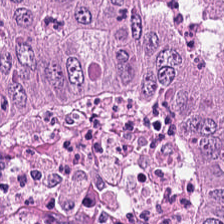H&E-stained tissue section — The tissue here is tumor epithelium.
